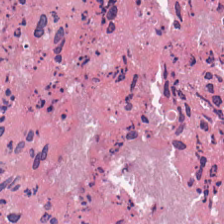FFPE tissue section · H&E stain. This field is cellular debris.
